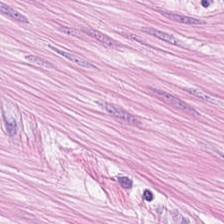224×224 px patch; hematoxylin-and-eosin stained section — This patch shows smooth muscle.
